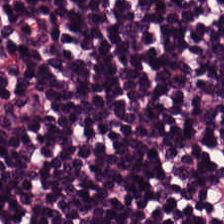H&E. Q: What tissue is shown?
A: The field shows lymphocyte aggregate.
